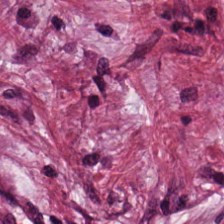H&E. Tumor stroma.
